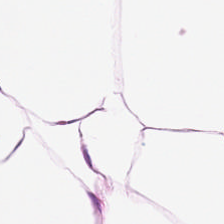FFPE. Brightfield. Hematoxylin and eosin — Finding — adipose.
